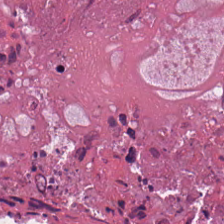H&E-stained tissue section · WSI patch.
Predominantly debris.
